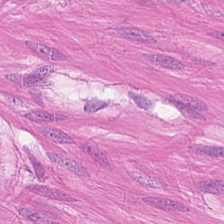The classification is muscularis.
